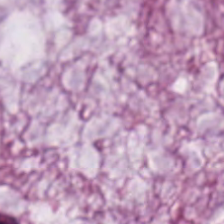Stain: hematoxylin-and-eosin stained section.
Predominant tissue: extracellular mucin.
